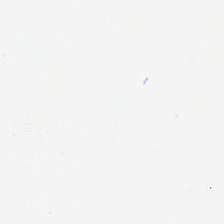Q: What is shown in this field?
A: The field shows background.
